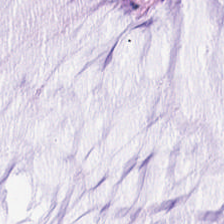Q: What does this patch show?
A: Mucus.
